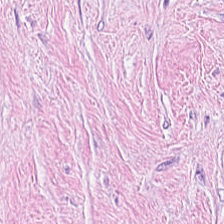H&E stain. Tissue: desmoplastic stroma.
